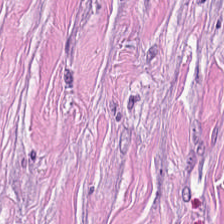H&E · 20× equivalent magnification. Cancer-associated stroma.
